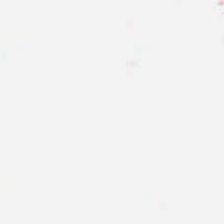Brightfield microscopy. H&E stain — The classification is background (no tissue).
